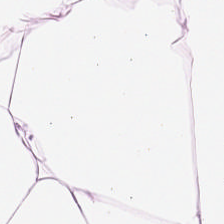H&E stain.
Fat tissue.
